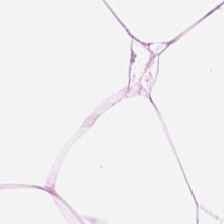Q: What is shown here?
A: The field shows adipose tissue.
